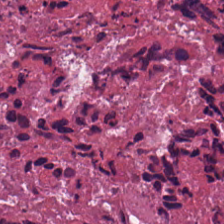H&E. The predominant tissue is cellular debris.
